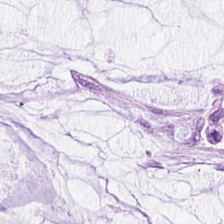The tissue here is mucus.
